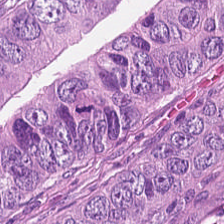H&E.
Classification: colorectal adenocarcinoma.
